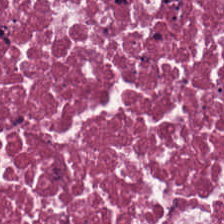Tissue type = necrotic debris.
